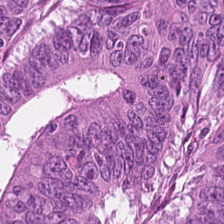Classification = malignant epithelium.
